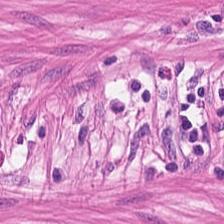The tissue here is smooth muscle.
